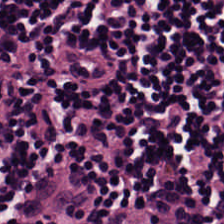WSI patch; H&E.
The tissue type is lymphoid infiltrate.
